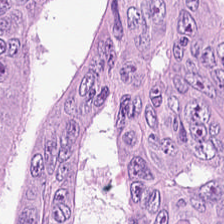Histology → malignant epithelium.
